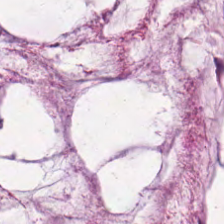20× equivalent magnification · H&E stain.
Q: What tissue type is shown here?
A: The field shows mucin.
